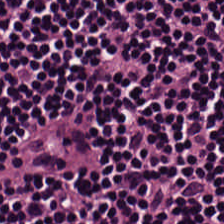H&E stain · formalin-fixed paraffin-embedded section · 224×224 px patch. Q: Identify the tissue.
A: The field shows lymphoid infiltrate.
